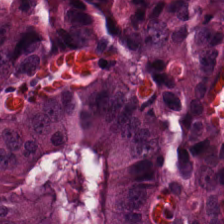Q: What is shown in this field?
A: It is malignant epithelium.
